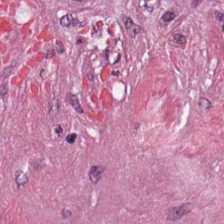Predominantly cancer-associated stroma.
